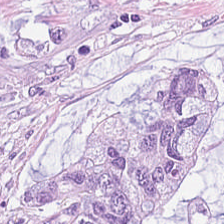0.5 microns per pixel · H&E stain.
Predominant tissue: mucus.
